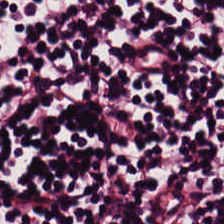H&E. 20× equivalent magnification — Tissue type — lymphocytes.
